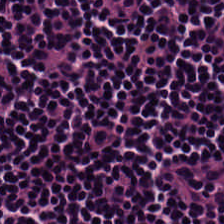Classification — lymphocytes.
